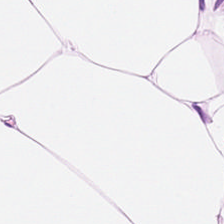H&E stain.
Fat tissue.
